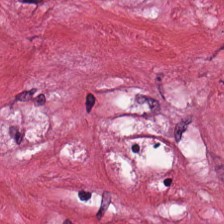Hematoxylin and eosin.
Tissue class = desmoplastic stroma.
